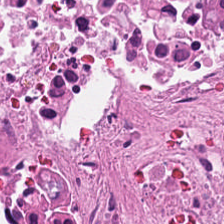H&E-stained tissue section.
Predominantly debris.
